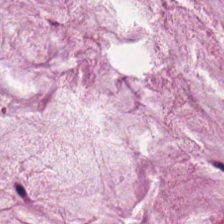The tissue type is extracellular mucin.
